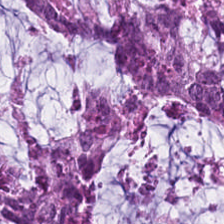WSI patch; H&E — Showing mucus.
